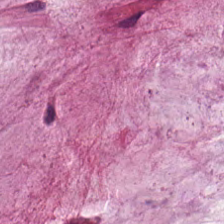Hematoxylin and eosin — Extracellular mucin.
